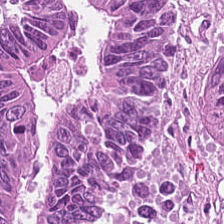H&E stain.
This field is colorectal adenocarcinoma epithelium.
